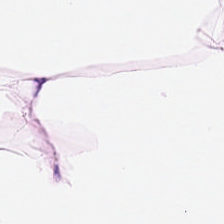224×224 px patch. Hematoxylin and eosin — Predominantly adipose tissue.
